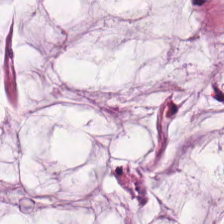Hematoxylin-and-eosin stained section — The tissue here is extracellular mucin.
